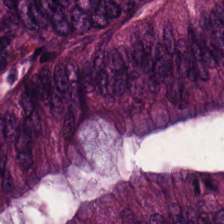H&E-stained tissue section — The predominant tissue is malignant epithelium.
